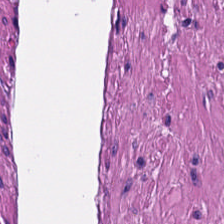Hematoxylin-and-eosin stained section. This field is smooth-muscle tissue.
